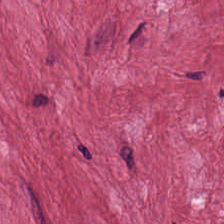224×224 pixel tile; FFPE tissue section; H&E stain.
Q: What is shown here?
A: It is tumor-associated stroma.
